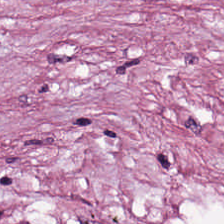Stain: H&E.
Tissue type: tumor-associated stroma.
